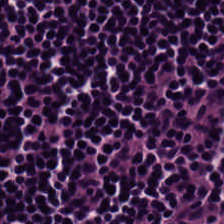Hematoxylin and eosin. Tissue class: lymphocytes.
